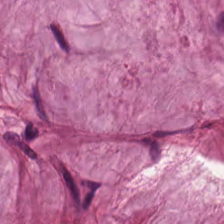224×224 px tile; H&E-stained tissue section — This field is extracellular mucin.
